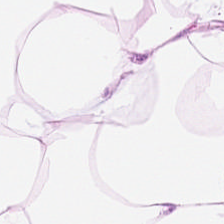Tissue: adipose.
